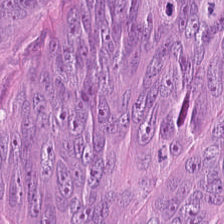H&E stain — The tissue class is tumor epithelium.
